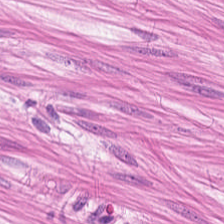H&E.
Tissue class = muscularis.
